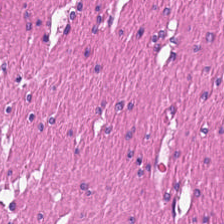H&E-stained tissue section.
The tissue here is smooth muscle.
